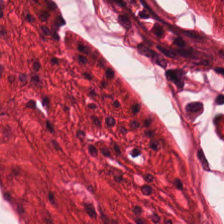Formalin-fixed paraffin-embedded section · H&E-stained tissue section — This patch shows muscularis.
